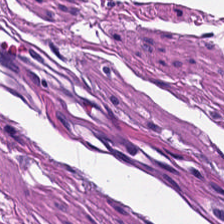20× equivalent magnification; hematoxylin and eosin — The predominant tissue is smooth muscle.
